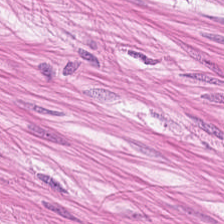H&E. The tissue is muscularis.
